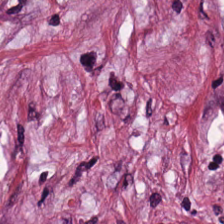Hematoxylin-and-eosin stained section. Predominant tissue — tumor stroma.
